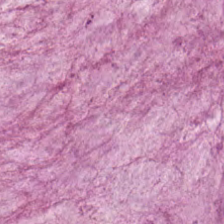Q: What type of tissue is this?
A: This is extracellular mucin.
